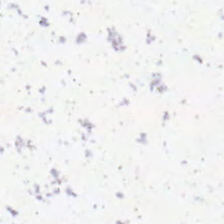H&E.
Finding — empty background.
